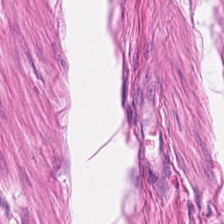H&E. Tissue class = smooth muscle.
